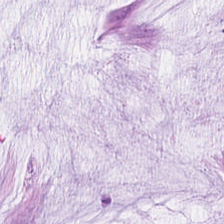Whole-slide-image patch · 224×224 px patch · hematoxylin-and-eosin stained section. Finding — mucin.
